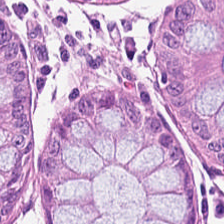Hematoxylin and eosin. The tissue class is normal colonic mucosa.
